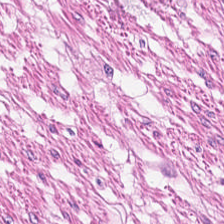Hematoxylin and eosin — This patch shows smooth-muscle tissue.
